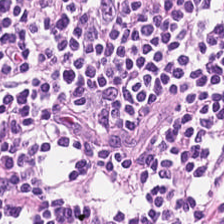H&E. Tissue type — lymphoid infiltrate.
